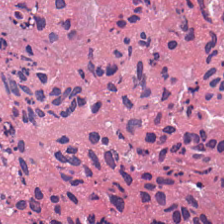Q: What is the predominant tissue type?
A: The field shows debris.
